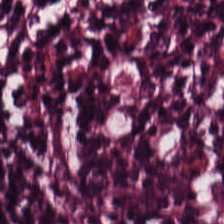0.5 µm/px · 224×224 px patch · H&E.
This field is lymphocytic infiltrate.
